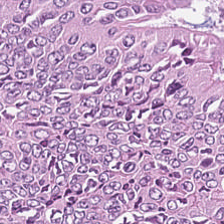Hematoxylin-and-eosin stained section. The tissue here is malignant epithelium.
